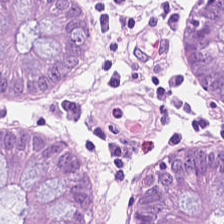Hematoxylin and eosin.
Tissue = benign colonic mucosa.
